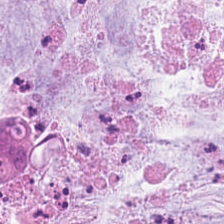Hematoxylin-and-eosin stained section. The tissue type is extracellular mucin.
